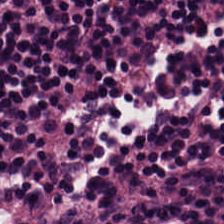H&E stain; 0.5 microns per pixel. Finding → lymphocytes.
